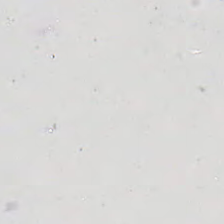224×224 px patch. H&E stain. Q: What is shown in this field?
A: This is no tissue.
